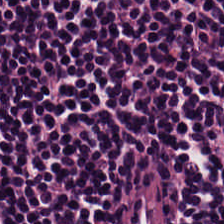Stain: H&E-stained tissue section.
Predominant tissue: lymphoid infiltrate.
